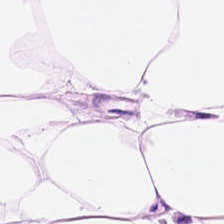Hematoxylin-and-eosin stained section — Showing adipocytes.
